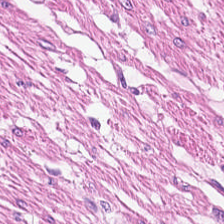H&E; FFPE.
This field is smooth muscle.
